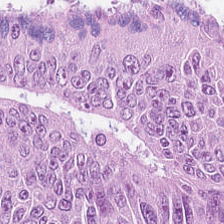Stain: hematoxylin-and-eosin stained section.
Preparation: FFPE tissue section.
Tissue: colorectal adenocarcinoma epithelium.
